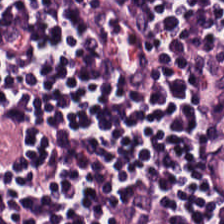Classification: lymphocyte aggregate.
